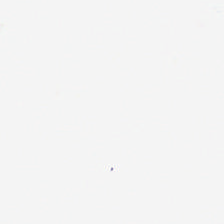Q: Classify this patch.
A: It is no tissue.
